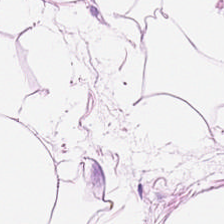224×224 px patch · WSI patch · H&E — Q: What type of tissue is this?
A: Adipocytes.
